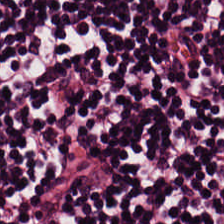The predominant tissue is lymphocytes.
